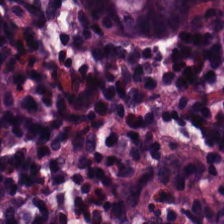H&E.
Tissue type — normal colonic mucosa.
